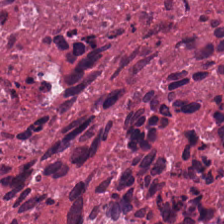H&E stain — Cellular debris.
